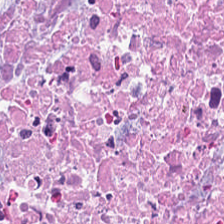Stain: H&E.
Preparation: FFPE.
Tissue: debris.
